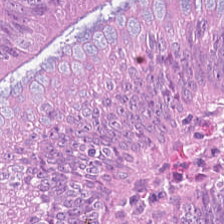Histology → malignant epithelium.
